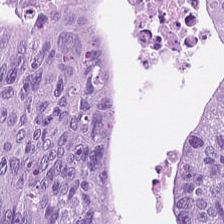Predominant tissue — adenocarcinoma.
